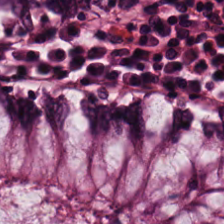H&E. Formalin-fixed paraffin-embedded section.
Impression → normal colon mucosa.
